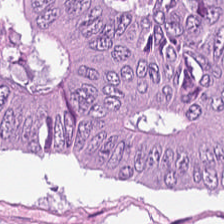Stain: H&E-stained tissue section.
Tissue class: colorectal adenocarcinoma.
